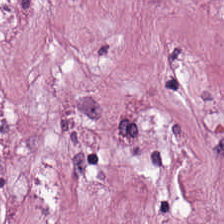Hematoxylin and eosin — Finding → tumor stroma.
